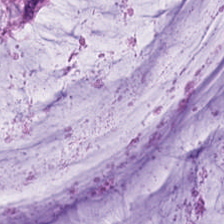Stain: H&E.
Tissue class: extracellular mucin.
